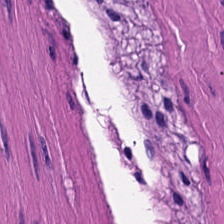H&E-stained tissue section; whole-slide-image patch.
Q: Identify the tissue.
A: Muscularis.
